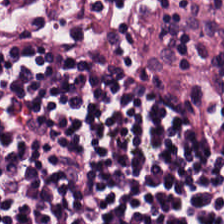H&E-stained tissue section — This patch shows lymphocytes.
